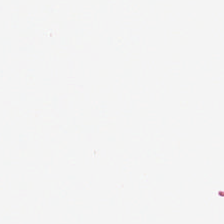H&E-stained tissue section; WSI patch.
Empty field — background.
